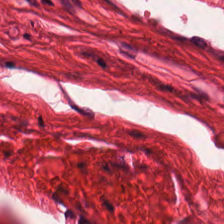H&E-stained tissue section — This patch shows smooth-muscle tissue.
